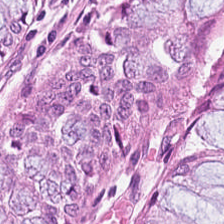H&E; WSI patch; formalin-fixed paraffin-embedded section — This patch shows benign colonic mucosa.
